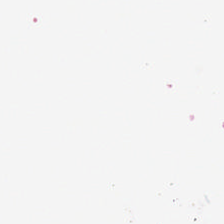224×224 px patch. H&E. FFPE tissue section — Classification = background (no tissue).
